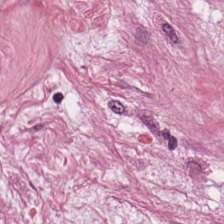Brightfield; H&E.
This field is cancer-associated stroma.
